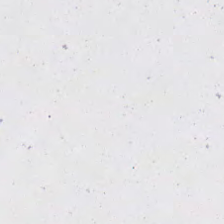FFPE tissue section; hematoxylin-and-eosin stained section. Classification: background (no tissue).
